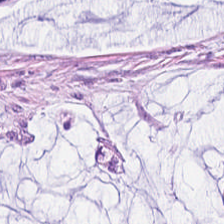Brightfield microscopy; H&E; 0.5 microns per pixel.
Tissue type: mucus.
